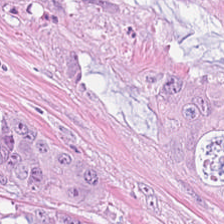Stain: H&E stain.
Preparation: FFPE tissue section.
Classification: colorectal adenocarcinoma epithelium.
